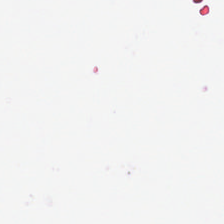FFPE; hematoxylin and eosin.
Background (no tissue).
